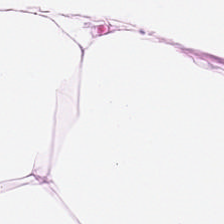Hematoxylin and eosin — {"tissue_type": "adipose"}
